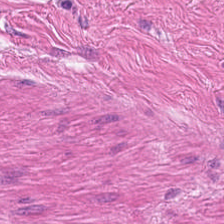Hematoxylin-and-eosin stained section. This patch shows smooth-muscle tissue.
